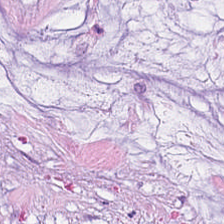Brightfield. Hematoxylin and eosin.
Mucin.
